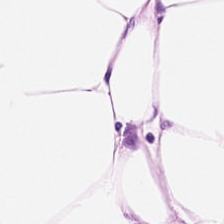Hematoxylin and eosin.
Tissue class — adipose tissue.
